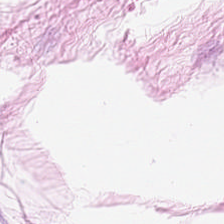Hematoxylin and eosin.
{"tissue_type": "fat tissue"}
